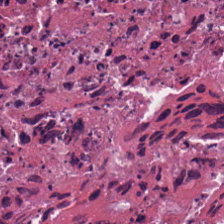Formalin-fixed paraffin-embedded section. Hematoxylin-and-eosin stained section.
This patch shows necrotic debris.
